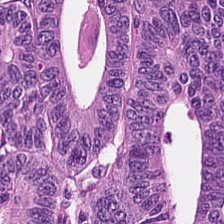H&E; formalin-fixed paraffin-embedded section.
Q: What tissue type is shown here?
A: This is tumor epithelium.
